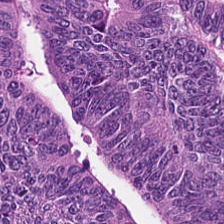Stain: H&E.
Predominant tissue: colorectal adenocarcinoma.
